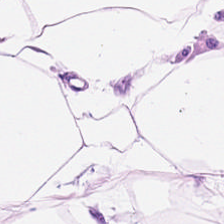Brightfield; H&E-stained tissue section. Tissue: adipocytes.
